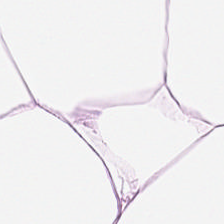20× equivalent magnification; FFPE tissue section; hematoxylin-and-eosin stained section.
Predominantly fat tissue.
